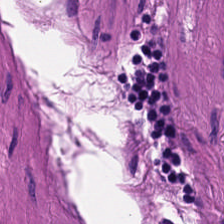This field is smooth muscle.
